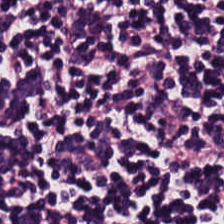Stain: hematoxylin-and-eosin stained section.
Acquisition: WSI patch.
Resolution: 20× equivalent magnification.
Tissue: lymphoid infiltrate.
